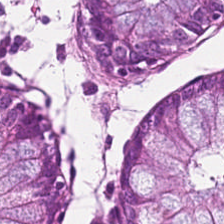H&E-stained tissue section. Q: What tissue type is shown here?
A: The field shows normal colon mucosa.
